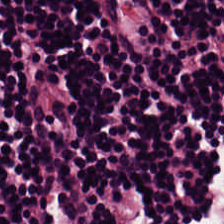Hematoxylin-and-eosin stained section — Q: What is shown in this field?
A: It is lymphocyte aggregate.
